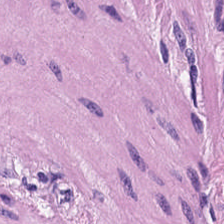Stain: H&E-stained tissue section.
Tissue class: muscularis.
